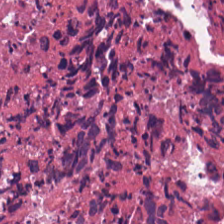Whole-slide-image patch; H&E. This patch shows necrotic debris.
